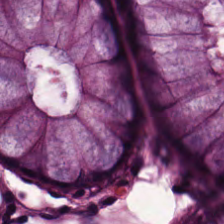H&E stain — Predominant tissue: normal colon mucosa.
